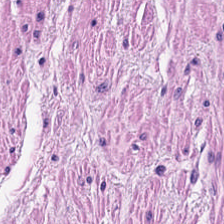Q: Identify the tissue.
A: It is smooth muscle.
